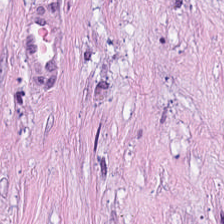Finding — desmoplastic stroma.
